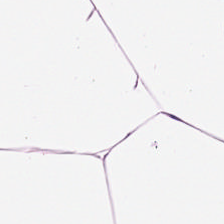Showing adipose.
